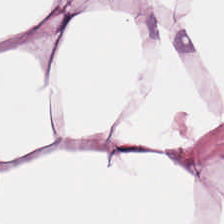H&E. Predominantly adipocytes.
